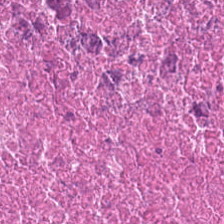H&E stain.
Q: What is the predominant tissue type?
A: Necrotic debris.
